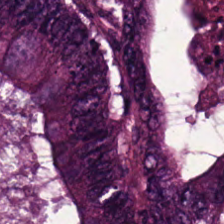Hematoxylin-and-eosin section: malignant epithelium.
